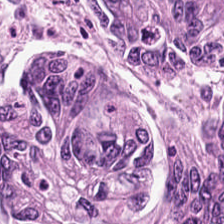Brightfield. Hematoxylin and eosin — Finding — colorectal adenocarcinoma epithelium.
